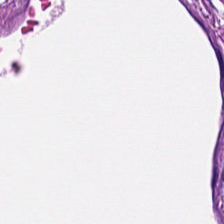Stain: hematoxylin-and-eosin stained section.
Resolution: 0.5 µm per pixel.
Tile size: 224×224 pixel tile.
Classification: smooth muscle.
